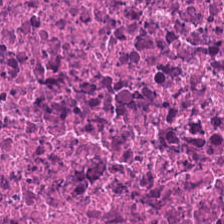H&E · 224×224 pixel tile. Tissue type = necrotic debris.
